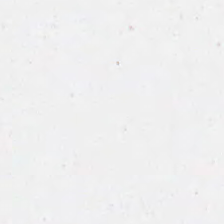WSI patch. H&E stain. Q: Classify this patch.
A: This is no tissue.
